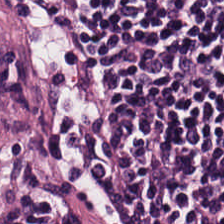H&E stain.
{"tissue_type": "lymphocytes"}
